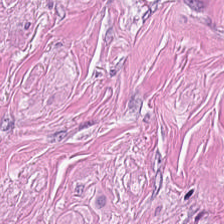Predominant tissue — cancer-associated stroma.
